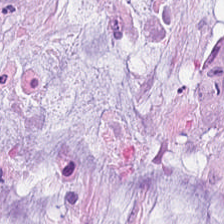Stain: H&E-stained tissue section.
Tissue class: mucus.
